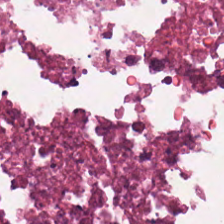{"tissue_type": "debris"}
